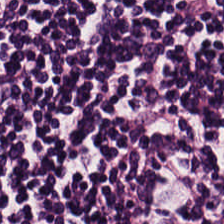Brightfield microscopy · H&E stain — Finding — lymphocytic infiltrate.
